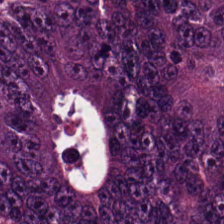Hematoxylin-and-eosin stained section; FFPE tissue section. The tissue here is colorectal adenocarcinoma epithelium.
